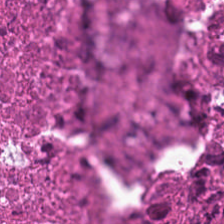Hematoxylin and eosin; formalin-fixed paraffin-embedded section; 0.5 µm per pixel — Finding — cellular debris.
